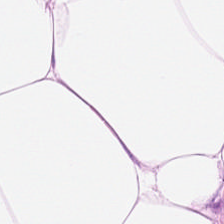H&E — Showing adipose.
